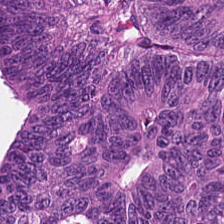Histology → malignant epithelium.
